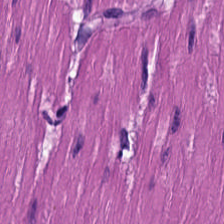Q: What is shown in this field?
A: The field shows smooth-muscle tissue.
